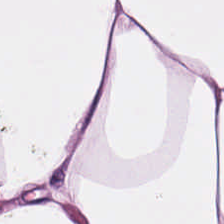H&E-stained tissue section — This patch shows adipose.
